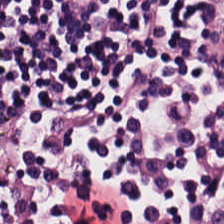H&E.
{"tissue_type": "lymphocytic infiltrate"}
